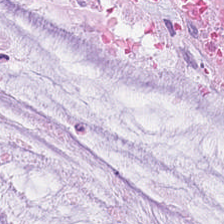The classification is extracellular mucin.
